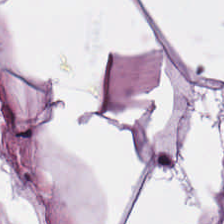Stain: H&E.
Acquisition: brightfield microscopy.
Tissue class: adipose tissue.
